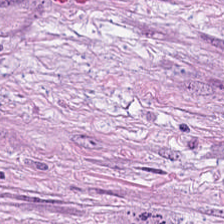Hematoxylin-and-eosin stained section.
Showing tumor-associated stroma.
